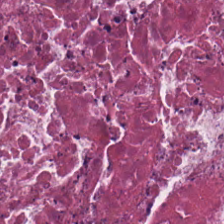H&E-stained tissue section showing necrotic debris.
